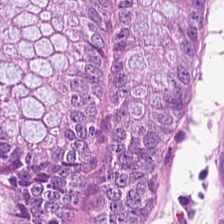WSI patch. H&E. FFPE tissue section.
Q: What type of tissue is this?
A: This is non-neoplastic colon mucosa.
